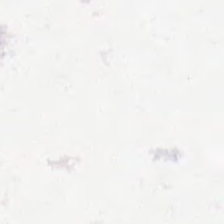Hematoxylin and eosin — Content — no tissue.
